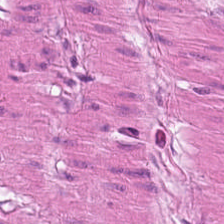H&E-stained tissue section. Q: What is shown here?
A: It is muscularis.
